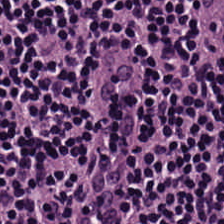H&E — Q: Identify the tissue.
A: Lymphocytic infiltrate.
